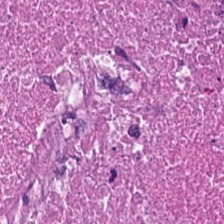Hematoxylin and eosin — Q: What tissue is shown?
A: It is cellular debris.
